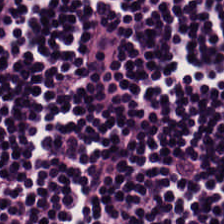H&E. FFPE. 0.5 microns per pixel. {"tissue_type": "lymphocytic infiltrate"}
